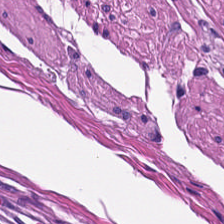Hematoxylin and eosin — Predominantly smooth-muscle tissue.
